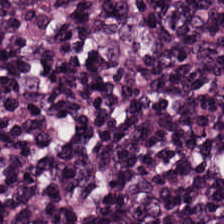Tissue — lymphocyte aggregate.
